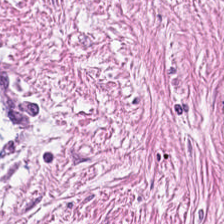H&E-stained tissue section. The tissue here is cancer-associated stroma.
